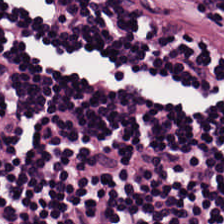Brightfield microscopy · H&E-stained tissue section · 0.5 microns per pixel. Tissue type = lymphoid infiltrate.
